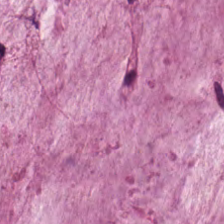FFPE tissue section. Hematoxylin and eosin. 224×224 pixel tile.
Histology → mucin.
